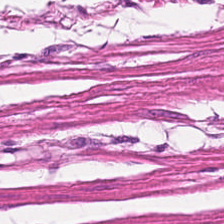The predominant tissue is smooth-muscle tissue.
